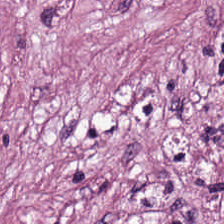The predominant tissue is cancer-associated stroma.
